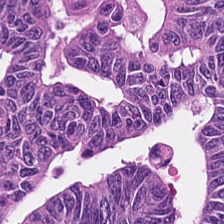Hematoxylin and eosin — Histology → tumor epithelium.
